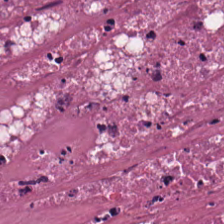H&E. The predominant tissue is debris.
